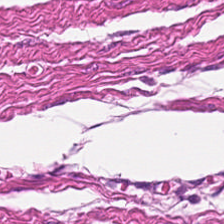0.5 µm/px · hematoxylin-and-eosin stained section · whole-slide-image patch — Smooth muscle.
